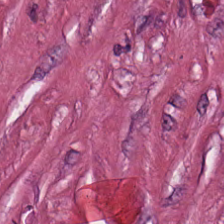Stain: H&E.
Tissue class: desmoplastic stroma.
